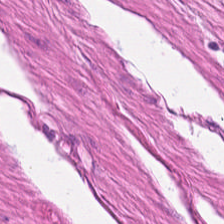FFPE tissue section. Hematoxylin and eosin — Q: Classify this patch.
A: It is muscularis.
